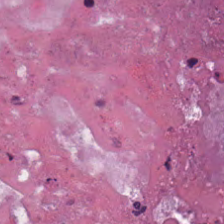Hematoxylin and eosin. Predominant tissue = necrotic debris.
